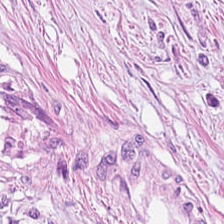Hematoxylin-and-eosin stained section — The predominant tissue is tumor stroma.
